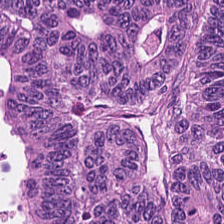Hematoxylin and eosin.
Predominantly colorectal adenocarcinoma epithelium.
